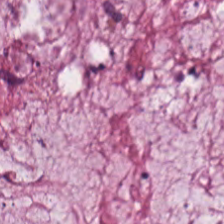{"tissue_type": "mucus"}
